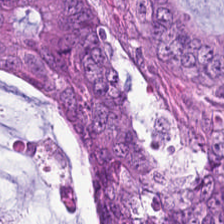Stain: hematoxylin and eosin.
Predominant tissue: malignant epithelium.
